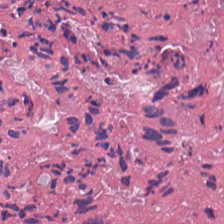Brightfield; H&E.
Q: What does this patch show?
A: Debris.
